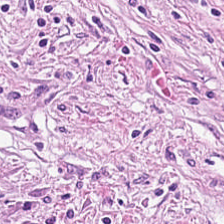WSI patch; FFPE tissue section; H&E.
The predominant tissue is cancer-associated stroma.
